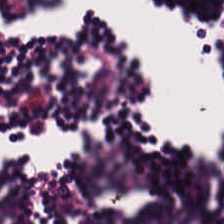Hematoxylin-and-eosin section: lymphocytes.
